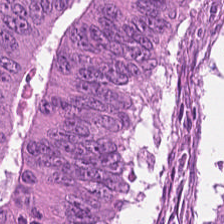Hematoxylin-and-eosin stained section — Tissue class = adenocarcinoma.
